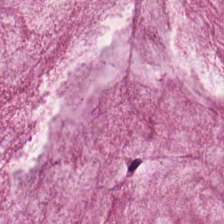H&E stain · brightfield · 224×224 px tile. Showing extracellular mucin.
